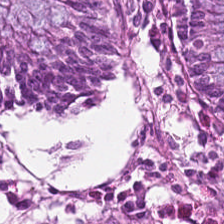Hematoxylin-and-eosin stained section — This field is benign colonic mucosa.
